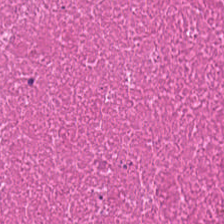Hematoxylin-and-eosin section: cellular debris.
